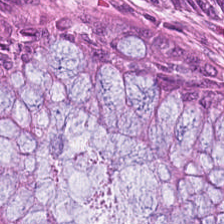H&E-stained tissue section; FFPE — This field is normal colonic mucosa.
